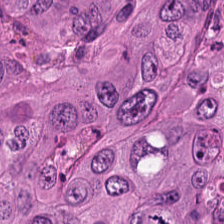Formalin-fixed paraffin-embedded section. H&E-stained tissue section.
Predominantly tumor epithelium.
